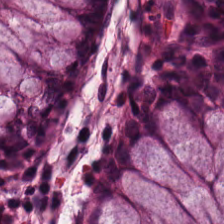H&E.
This field is benign colonic mucosa.
